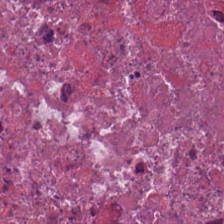224×224 pixel tile; hematoxylin-and-eosin stained section; FFPE — Necrotic debris.
